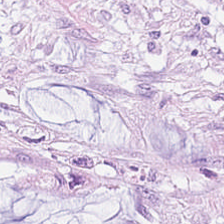H&E-stained tissue section. {"tissue_type": "extracellular mucin"}
